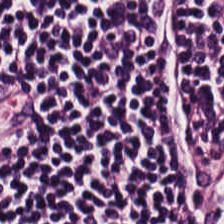Brightfield; H&E stain — This patch shows lymphoid infiltrate.
